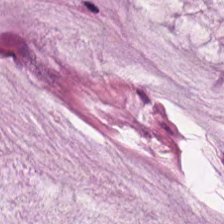Tissue: mucus.
